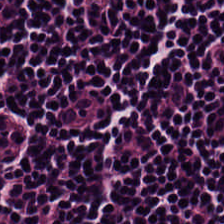Q: Identify the tissue.
A: This is lymphoid infiltrate.
